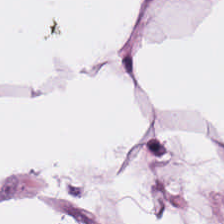Brightfield microscopy; H&E-stained tissue section. The tissue is adipocytes.
